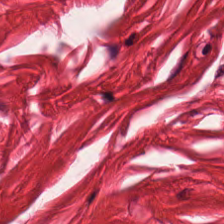0.5 microns per pixel · WSI patch · hematoxylin and eosin — Q: What does this patch show?
A: Smooth muscle.
